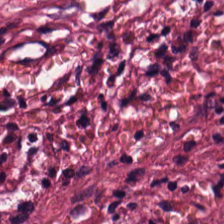WSI patch · H&E — {"tissue_type": "tumor stroma"}
